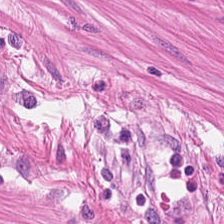Classification — smooth muscle.
